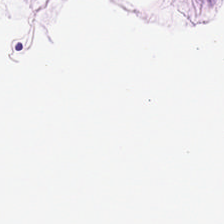Histology → adipose.
